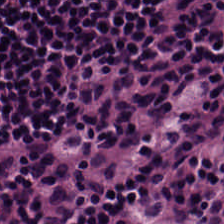Classification — lymphocytes.
